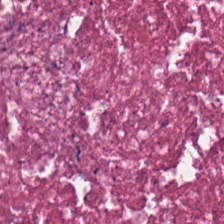Brightfield. H&E-stained tissue section. Q: What type of tissue is this?
A: This is necrotic debris.
